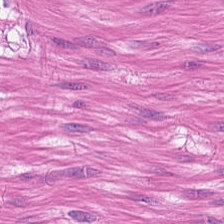WSI patch. Hematoxylin and eosin.
The tissue here is smooth muscle.
